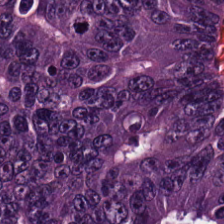H&E-stained tissue section.
{"tissue_type": "colorectal adenocarcinoma"}
